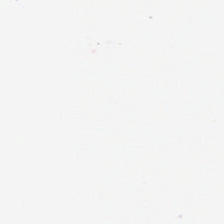H&E stain · 224×224 px patch · formalin-fixed paraffin-embedded section. Classification: background (no tissue).
